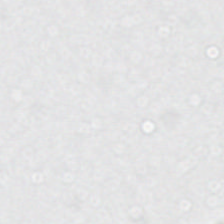224×224 pixel tile; H&E-stained tissue section; 0.5 microns per pixel. Finding → empty background.
